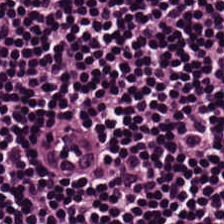H&E stain.
{"tissue_type": "lymphoid infiltrate"}
